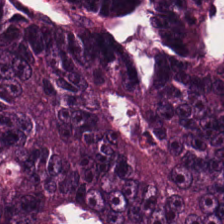Stain: hematoxylin and eosin.
Tile size: 224×224 px patch.
Resolution: 0.5 µm/px.
Tissue type: colorectal adenocarcinoma.
